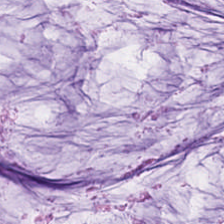Hematoxylin-and-eosin stained section.
Predominant tissue — mucus.
